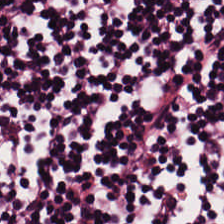Hematoxylin and eosin; whole-slide-image patch.
Q: What tissue type is shown here?
A: It is lymphocyte aggregate.
